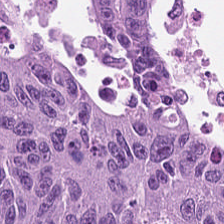Hematoxylin and eosin; 0.5 microns per pixel.
The tissue here is colorectal adenocarcinoma.
